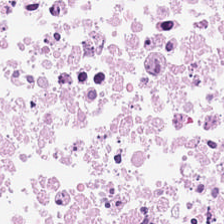224×224 px patch. Hematoxylin-and-eosin stained section. 0.5 µm per pixel.
Classification: cellular debris.
